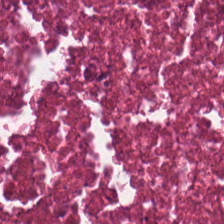FFPE. 224×224 pixel tile. H&E. Impression — cellular debris.
